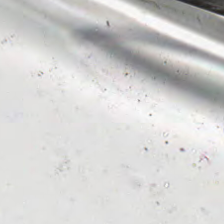Background — no tissue in this field.
